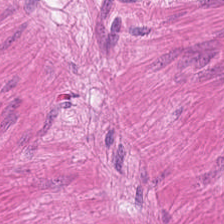0.5 µm per pixel. Hematoxylin and eosin.
Q: What tissue is shown?
A: This is smooth muscle.
